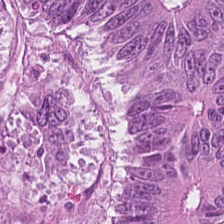Brightfield microscopy · H&E-stained tissue section.
Tissue type: adenocarcinoma.
